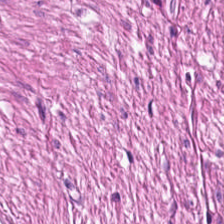Formalin-fixed paraffin-embedded section; H&E stain.
The classification is muscularis.
